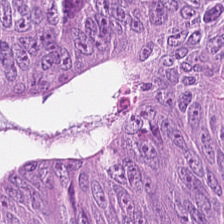0.5 µm/px. FFPE tissue section. Hematoxylin-and-eosin stained section. Q: What does this patch show?
A: This is malignant epithelium.
